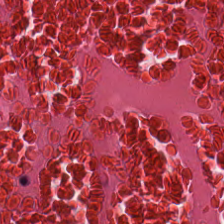Classification — cellular debris.
